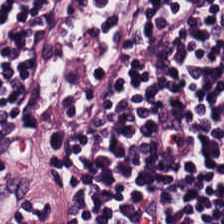H&E; 0.5 microns per pixel. Q: What is the predominant tissue type?
A: Lymphocytes.
